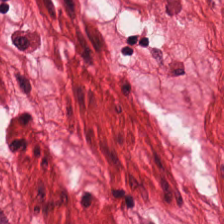H&E stain; 20× equivalent magnification. This field is smooth-muscle tissue.
